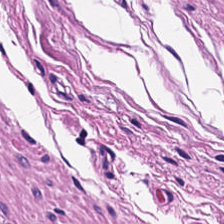H&E stain. 0.5 microns per pixel. WSI patch — Showing muscularis.
